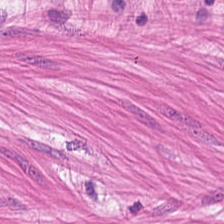Hematoxylin-and-eosin stained section · 224×224 px patch.
This patch shows muscularis.
